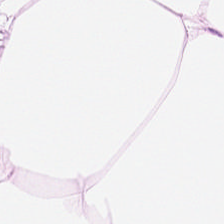H&E — This patch shows adipocytes.
